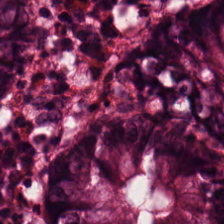Stain: H&E.
Predominant tissue: non-neoplastic colon mucosa.
